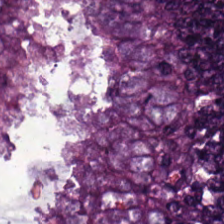This field is colorectal adenocarcinoma.
